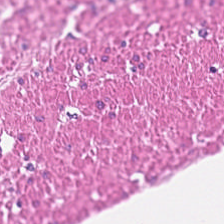H&E-stained tissue section · formalin-fixed paraffin-embedded section. Q: What is shown here?
A: It is smooth-muscle tissue.
